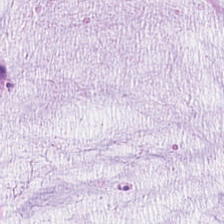Hematoxylin and eosin — The tissue type is extracellular mucin.
